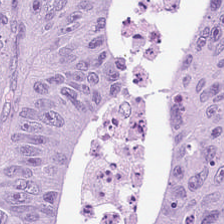Hematoxylin and eosin — Tissue class — tumor epithelium.
